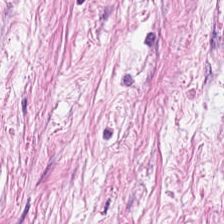Stain: H&E stain.
Predominant tissue: desmoplastic stroma.
